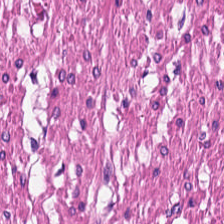Hematoxylin-and-eosin stained section.
The tissue here is smooth muscle.
